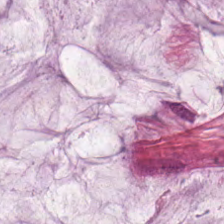H&E. This field is extracellular mucin.
